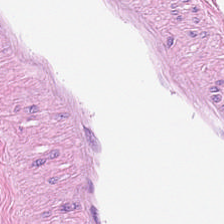Hematoxylin-and-eosin stained section. Brightfield.
Predominantly adipose.
